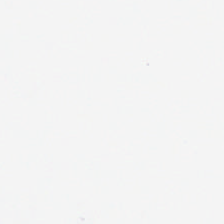Content: background.
